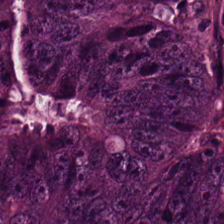Stain: H&E.
Classification: adenocarcinoma.
